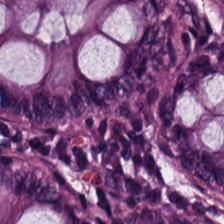H&E stain; WSI patch — Normal colon mucosa.
